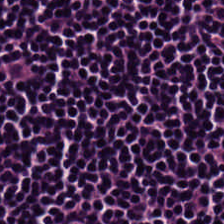H&E. Predominantly lymphoid infiltrate.
